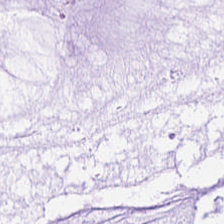H&E stain. Q: Identify the tissue.
A: The field shows mucus.
